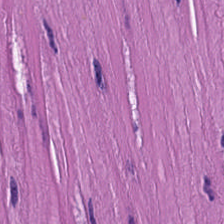Whole-slide-image patch · hematoxylin and eosin. Finding — smooth-muscle tissue.
